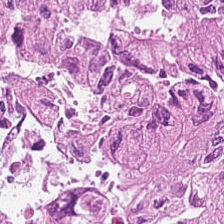H&E.
Classification: malignant epithelium.
